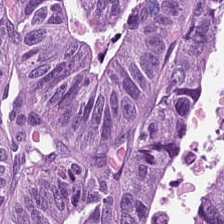Predominantly colorectal adenocarcinoma.
